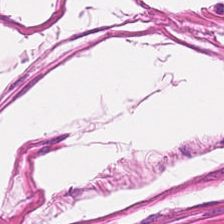H&E stain.
Q: What does this patch show?
A: It is muscularis.
